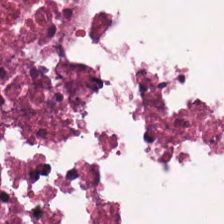H&E-stained tissue section; formalin-fixed paraffin-embedded section; brightfield microscopy.
Q: Identify the tissue.
A: The field shows necrotic debris.
